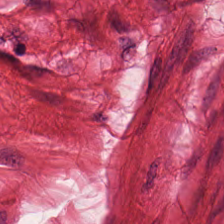Stain: hematoxylin-and-eosin stained section.
Preparation: FFPE tissue section.
Tissue type: smooth-muscle tissue.
